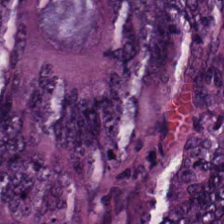This patch shows malignant epithelium.
